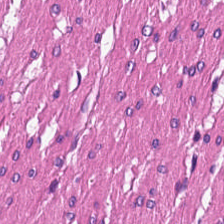Q: What is shown here?
A: The field shows smooth-muscle tissue.
